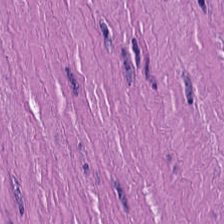FFPE tissue section; whole-slide-image patch; H&E stain — Predominant tissue = smooth muscle.
